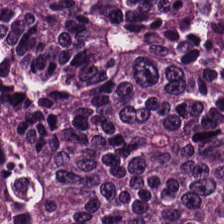H&E-stained tissue section; brightfield.
Tissue type = malignant epithelium.
